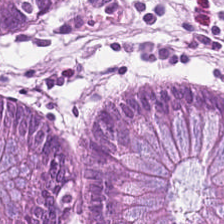Hematoxylin and eosin. Formalin-fixed paraffin-embedded section. WSI patch.
{"tissue_type": "benign colonic mucosa"}
